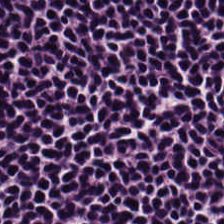H&E — Histology — lymphocytes.
